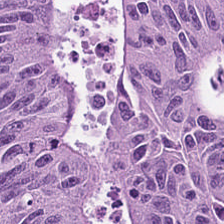H&E-stained tissue section · FFPE — The tissue class is colorectal adenocarcinoma epithelium.
